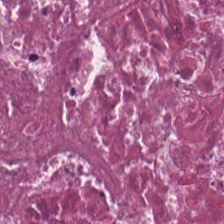Whole-slide-image patch. H&E stain.
Tissue type: necrotic debris.
